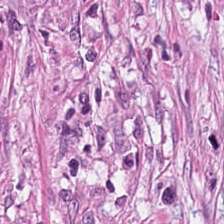This patch shows tumor stroma.
